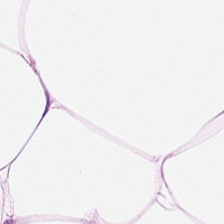H&E-stained tissue section. {"tissue_type": "adipose tissue"}
